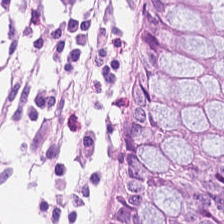H&E stain — Non-neoplastic colon mucosa.
